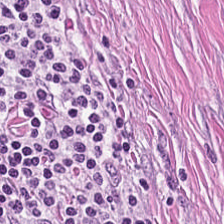Hematoxylin and eosin — The tissue type is tumor stroma.
